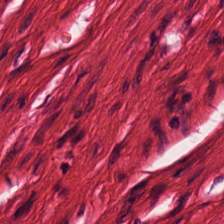Hematoxylin-and-eosin stained section — Showing smooth-muscle tissue.
